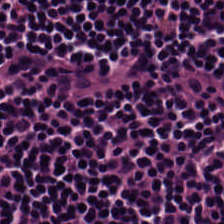Hematoxylin-and-eosin stained section · 20× equivalent magnification.
This patch shows lymphocyte aggregate.
